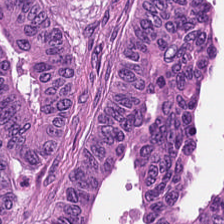Brightfield microscopy; H&E-stained tissue section.
Classification — tumor epithelium.
